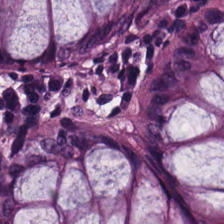Hematoxylin and eosin · formalin-fixed paraffin-embedded section. Normal colonic mucosa.
